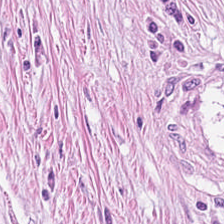H&E stain. 224×224 pixel tile. This field is cancer-associated stroma.
